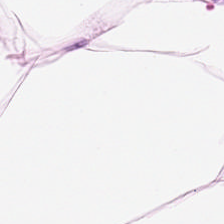H&E-stained tissue section; brightfield microscopy — Predominant tissue: adipocytes.
